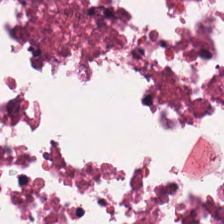224×224 pixel tile · brightfield · H&E. Q: What is the predominant tissue type?
A: Debris.
